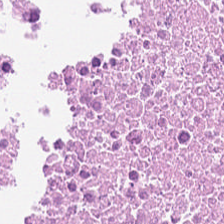Stain: H&E.
Predominant tissue: necrotic debris.
